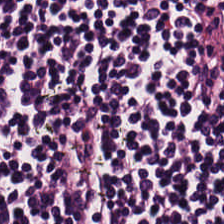H&E-stained tissue section.
Q: What is shown in this field?
A: It is lymphoid infiltrate.
